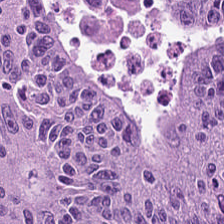Stain: H&E-stained tissue section.
Classification: colorectal adenocarcinoma.
